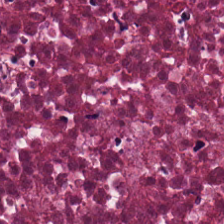Cellular debris.
